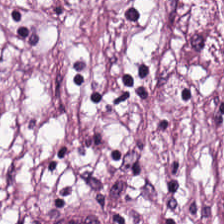Hematoxylin-and-eosin stained section.
Tissue — desmoplastic stroma.
